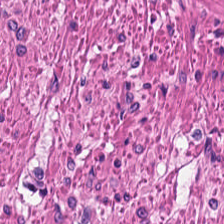Finding → muscularis.
